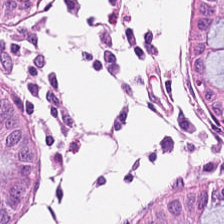Histology → benign colonic mucosa.
